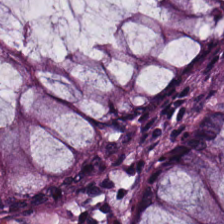H&E · formalin-fixed paraffin-embedded section. Showing normal colonic mucosa.
